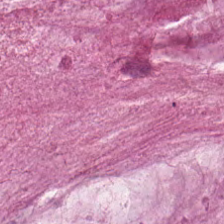Stain: H&E stain.
Preparation: FFPE.
Tile size: 224×224 px patch.
Tissue type: extracellular mucin.
